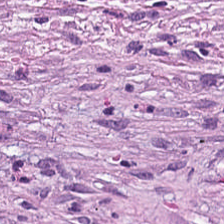Hematoxylin and eosin. Finding → desmoplastic stroma.
